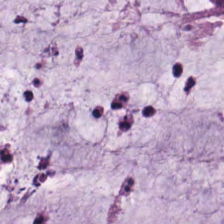224×224 px patch; H&E-stained tissue section. The predominant tissue is mucus.
